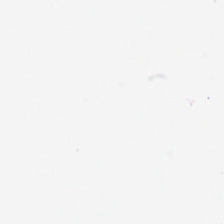Q: What is shown in this field?
A: The field shows no tissue.
